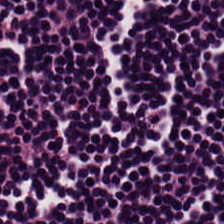0.5 microns per pixel; H&E; FFPE — Predominant tissue: lymphoid infiltrate.
